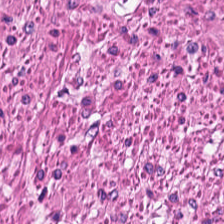0.5 µm/px; H&E.
The tissue here is muscularis.
